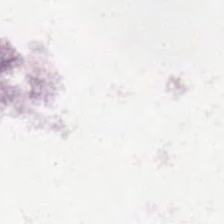Hematoxylin-and-eosin stained section. Brightfield microscopy — Finding → background (no tissue).
